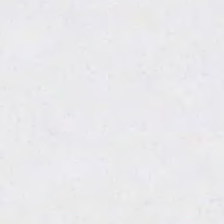Hematoxylin-and-eosin stained section. 0.5 microns per pixel. Q: What is shown here?
A: Empty background.
